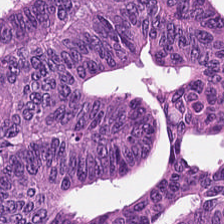20× equivalent magnification · hematoxylin-and-eosin stained section — Classification = colorectal adenocarcinoma.
